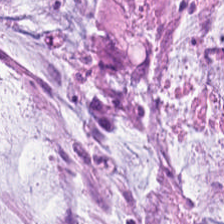Stain: H&E.
Tile size: 224×224 px patch.
Resolution: 0.5 microns per pixel.
Predominant tissue: extracellular mucin.
